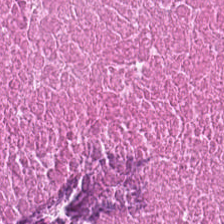H&E. The tissue here is necrotic debris.
